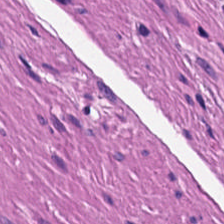224×224 px patch. Hematoxylin and eosin — Q: What does this patch show?
A: This is smooth-muscle tissue.
